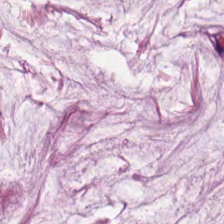Tissue class: mucin.
